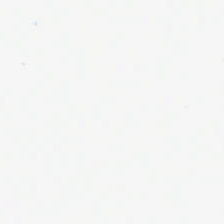Stain: hematoxylin and eosin.
Tile size: 224×224 px patch.
Resolution: 0.5 µm per pixel.
Content: no tissue.
